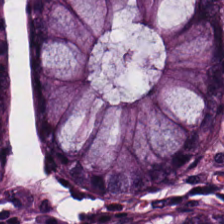Brightfield microscopy · hematoxylin and eosin. Showing benign colonic mucosa.
